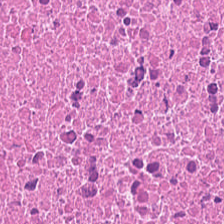Stain: H&E.
Resolution: 20× equivalent magnification.
Tissue: necrotic debris.
